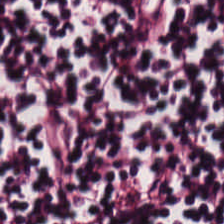Hematoxylin-and-eosin stained section.
Impression — lymphoid infiltrate.
